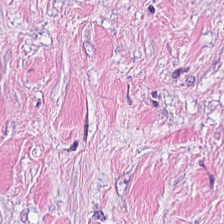H&E. FFPE tissue section — {"tissue_type": "cancer-associated stroma"}
